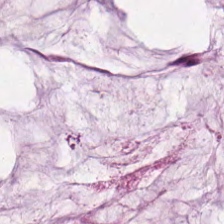Hematoxylin-and-eosin stained section · 224×224 pixel tile. The tissue is extracellular mucin.
